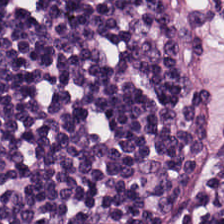H&E stain; WSI patch; formalin-fixed paraffin-embedded section. This field is lymphocytes.
